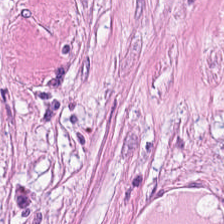Classification — tumor stroma.
